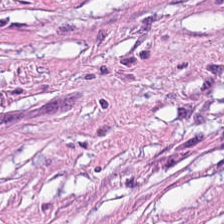Hematoxylin-and-eosin stained section. {"tissue_type": "tumor stroma"}
